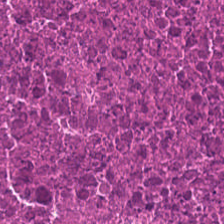{"tissue_type": "cellular debris"}
